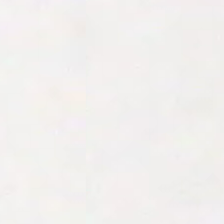Stain: H&E stain.
Preparation: FFPE.
Tile size: 224×224 px patch.
Classification: background (no tissue).
